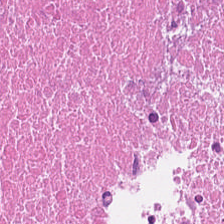224×224 px patch; 20× equivalent magnification; H&E stain.
The classification is necrotic debris.
